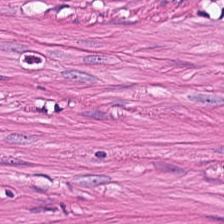The tissue here is muscularis.
